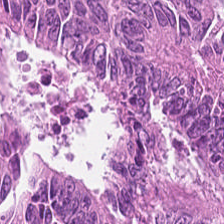Hematoxylin and eosin · FFPE · brightfield. {"tissue_type": "tumor epithelium"}
